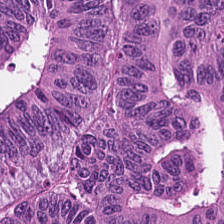H&E stain. 224×224 px patch.
This field is adenocarcinoma.
